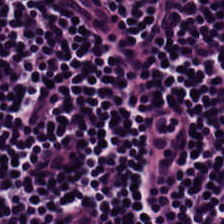H&E-stained tissue section. {"tissue_type": "lymphocyte aggregate"}
